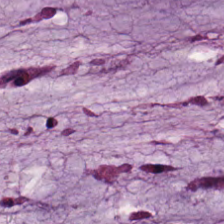H&E; FFPE tissue section — Q: What type of tissue is this?
A: The field shows mucus.
